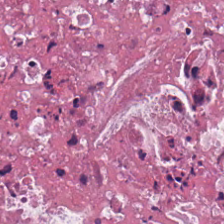Stain: H&E.
Tissue class: cellular debris.
